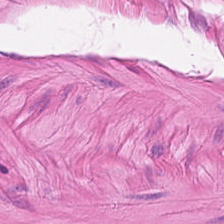H&E. Q: Identify the tissue.
A: It is smooth muscle.
